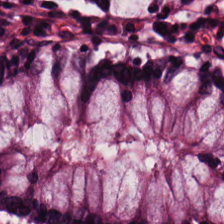0.5 µm per pixel · hematoxylin-and-eosin stained section.
Normal colon mucosa.
